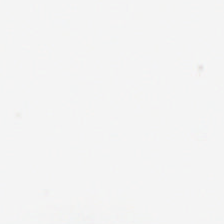Hematoxylin and eosin. 224×224 px patch. WSI patch — Content: empty background.
